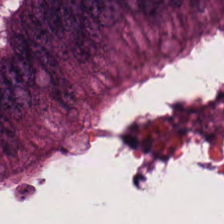20× equivalent magnification · H&E-stained tissue section · FFPE tissue section — This patch shows tumor epithelium.
